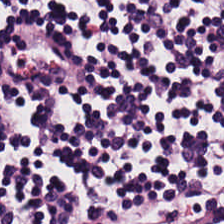H&E-stained tissue section — The tissue class is lymphoid infiltrate.
